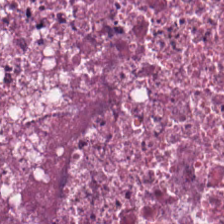Brightfield · formalin-fixed paraffin-embedded section · hematoxylin-and-eosin stained section. Classification = debris.
